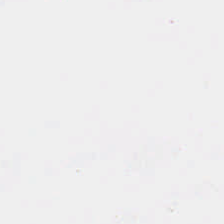Hematoxylin and eosin — Field content — no tissue.
